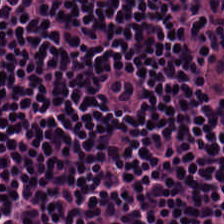The tissue here is lymphocytic infiltrate.
